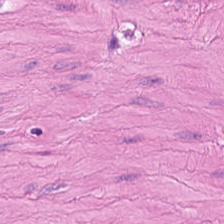H&E — smooth-muscle tissue.
